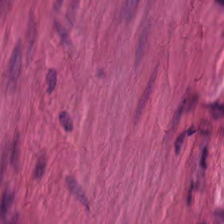Hematoxylin-and-eosin stained section.
The predominant tissue is smooth muscle.
